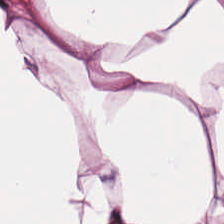H&E. WSI patch. 0.5 µm per pixel — Q: What does this patch show?
A: Adipose tissue.
